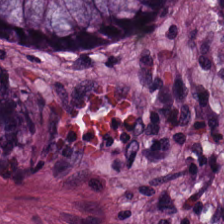Stain: H&E-stained tissue section.
Tissue type: non-neoplastic colon mucosa.
